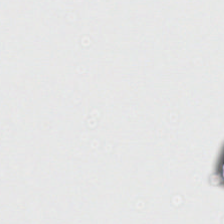Background — no tissue in this field.
